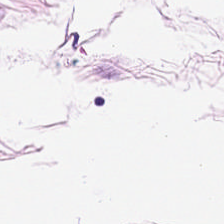Predominant tissue: fat tissue.
